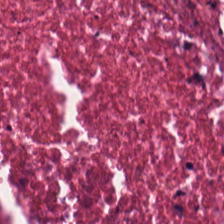The classification is debris.
